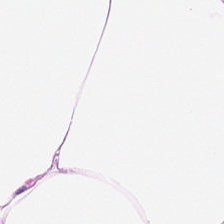Tissue — adipocytes.
